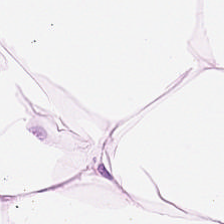H&E. Q: What type of tissue is this?
A: Adipose.
